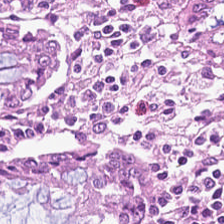Stain: hematoxylin and eosin.
Predominant tissue: non-neoplastic colon mucosa.
